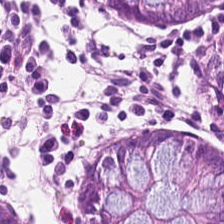The predominant tissue is normal colonic mucosa.
